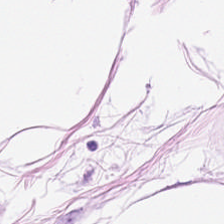Predominantly fat tissue.
